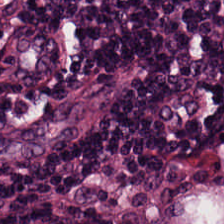Hematoxylin-and-eosin stained section.
Predominant tissue — lymphocyte aggregate.
